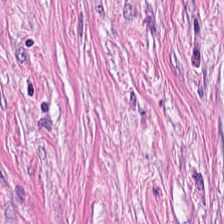Hematoxylin and eosin. Tissue class = cancer-associated stroma.
